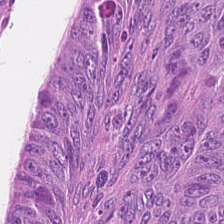H&E. Whole-slide-image patch.
The tissue is tumor epithelium.
